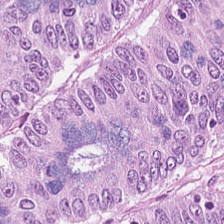FFPE; whole-slide-image patch; H&E stain.
Colorectal adenocarcinoma.
